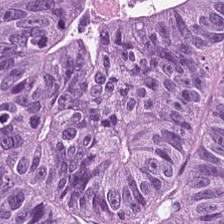Stain: H&E stain.
Tissue type: adenocarcinoma.
